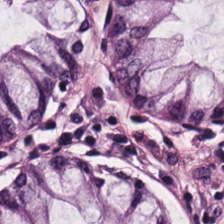Hematoxylin-and-eosin section: normal colonic mucosa.
